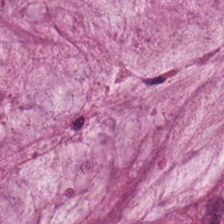H&E-stained tissue section. Q: What is the predominant tissue type?
A: Mucin.
